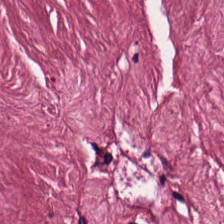H&E-stained tissue section · 224×224 px patch.
Tissue class — desmoplastic stroma.
